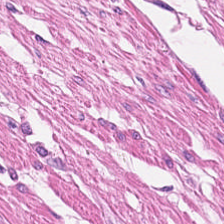H&E-stained tissue section — {"tissue_type": "muscularis"}
